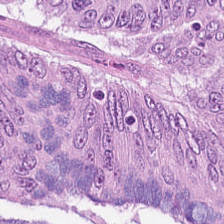Histology — adenocarcinoma.
